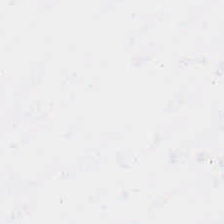H&E — No tissue present; background only.
